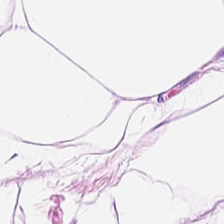Q: Classify this patch.
A: It is adipose.
